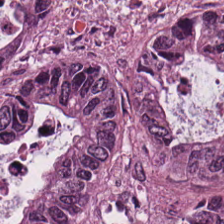Stain: hematoxylin and eosin.
Tissue class: colorectal adenocarcinoma.
